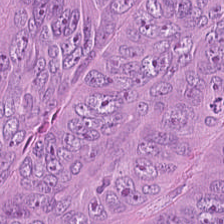H&E-stained tissue section — The tissue here is colorectal adenocarcinoma epithelium.
